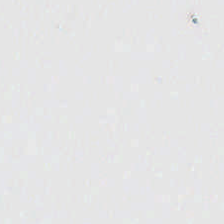Stain: H&E stain.
Content: background.
